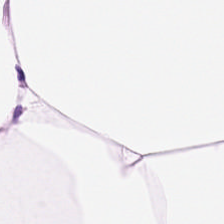FFPE tissue section; hematoxylin-and-eosin stained section — Tissue type — fat tissue.
